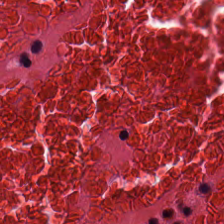H&E-stained tissue section.
Tissue type = necrotic debris.
